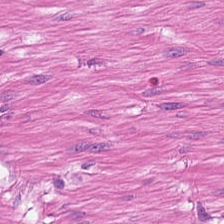H&E stain. Predominantly smooth-muscle tissue.
